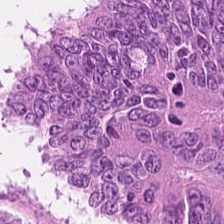Hematoxylin-and-eosin stained section. FFPE — Tissue class = colorectal adenocarcinoma.
